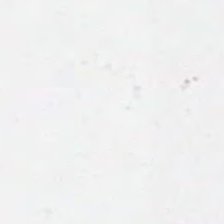Field content — empty background.
